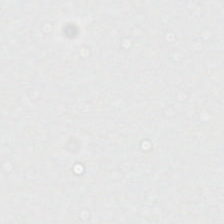Stain: H&E-stained tissue section.
Resolution: 0.5 µm/px.
Classification: background (no tissue).
